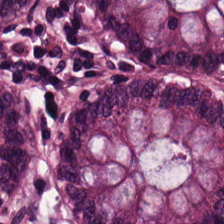H&E stain.
{"tissue_type": "non-neoplastic colon mucosa"}
